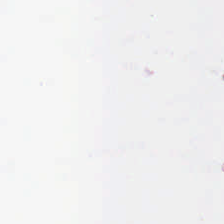H&E stain. 0.5 µm per pixel. 224×224 px tile — The content is no tissue.
